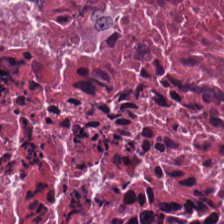Hematoxylin and eosin — Q: What is the predominant tissue type?
A: It is cellular debris.
